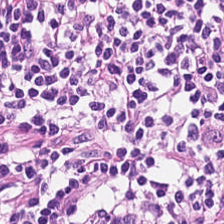Hematoxylin and eosin. Tissue class: lymphoid infiltrate.
